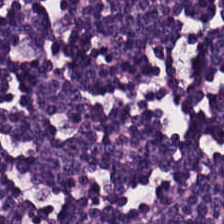H&E-stained tissue section — Predominantly lymphocytic infiltrate.
